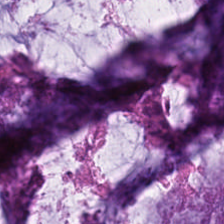Hematoxylin-and-eosin stained section — {"tissue_type": "mucin"}
